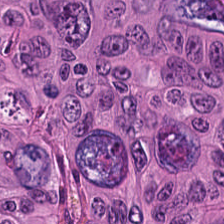H&E-stained tissue section · 20× equivalent magnification — The predominant tissue is colorectal adenocarcinoma.
